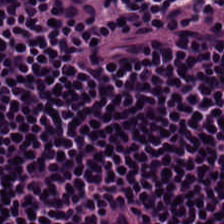Stain: H&E.
Preparation: FFPE tissue section.
Tissue: lymphocytes.
